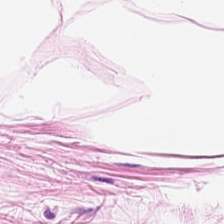H&E. 224×224 pixel tile. FFPE — Tissue = adipocytes.
